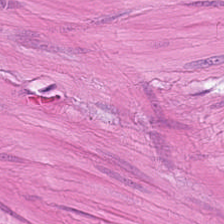H&E-stained tissue section · brightfield microscopy.
Finding → muscularis.
